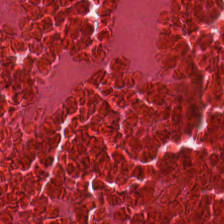H&E stain; 0.5 microns per pixel; FFPE.
Predominantly necrotic debris.
